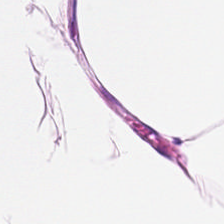Hematoxylin-and-eosin stained section. Tissue type = fat tissue.
